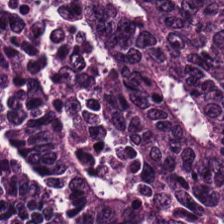The predominant tissue is adenocarcinoma.
